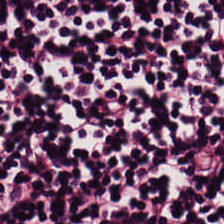Q: Identify the tissue.
A: It is lymphocytic infiltrate.
